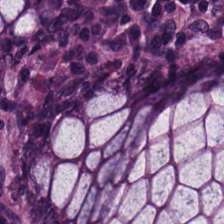Brightfield microscopy. Hematoxylin and eosin.
Finding — normal colonic mucosa.
